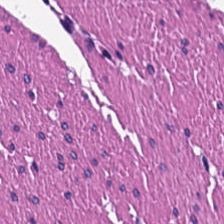H&E-stained tissue section. Brightfield — The predominant tissue is smooth muscle.
